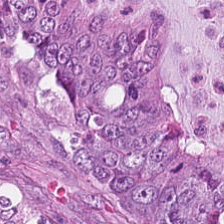Hematoxylin and eosin. The tissue is colorectal adenocarcinoma.
